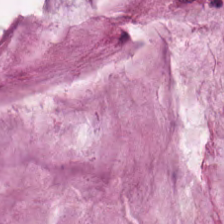Hematoxylin-and-eosin stained section.
{"tissue_type": "mucus"}
